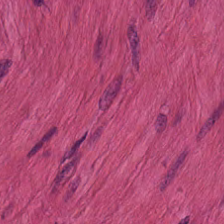224×224 px patch. Hematoxylin and eosin. Finding → smooth-muscle tissue.
